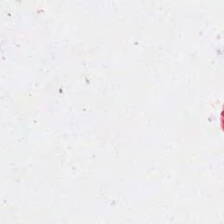Stain: H&E stain.
Content: empty background.
